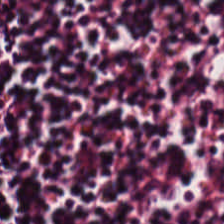H&E stain.
The predominant tissue is lymphocytes.
